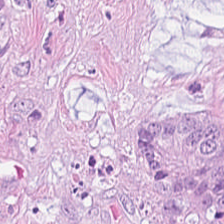H&E.
The tissue here is tumor epithelium.
